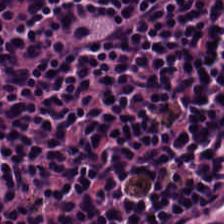Stain: H&E stain.
Acquisition: whole-slide-image patch.
Tissue: lymphocyte aggregate.
